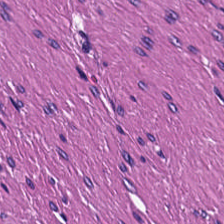This field is smooth-muscle tissue.
